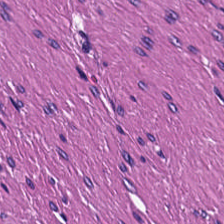This field is smooth-muscle tissue.
